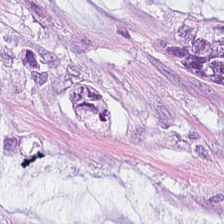Tissue class — mucus.
